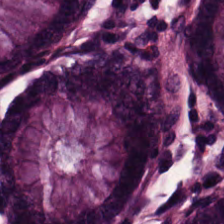Stain: H&E-stained tissue section.
Preparation: formalin-fixed paraffin-embedded section.
Classification: normal colon mucosa.
